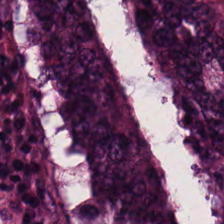Q: What tissue is shown?
A: This is colorectal adenocarcinoma.
